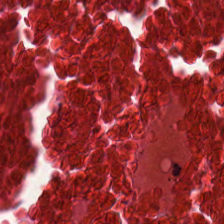Q: What is the predominant tissue type?
A: Cellular debris.
